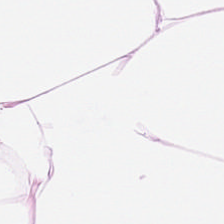H&E stain — Adipocytes.
